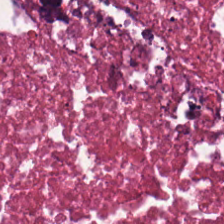Hematoxylin and eosin — Predominantly necrotic debris.
